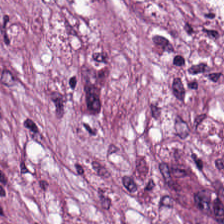Hematoxylin and eosin.
Q: What tissue is shown?
A: The field shows tumor-associated stroma.
